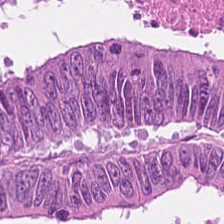0.5 microns per pixel · hematoxylin and eosin — This field is adenocarcinoma.
